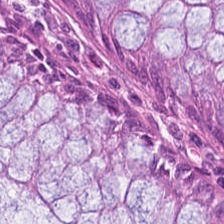Predominant tissue = normal colonic mucosa.
